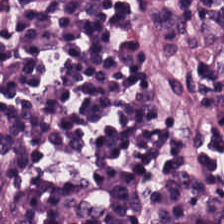Stain: hematoxylin and eosin.
Tissue type: lymphocytes.
